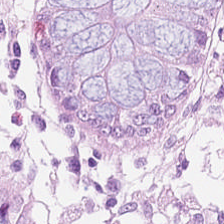FFPE · H&E-stained tissue section — Predominantly non-neoplastic colon mucosa.
